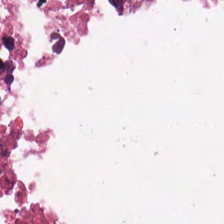Hematoxylin-and-eosin stained section — Showing necrotic debris.
